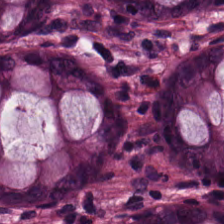Histology — normal colonic mucosa.
